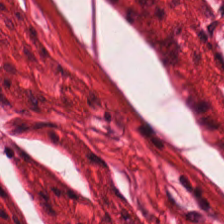Hematoxylin and eosin — Muscularis.
